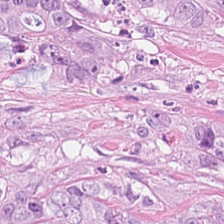Tissue class = tumor epithelium.
